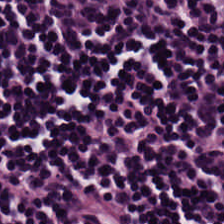H&E-stained tissue section.
Tissue: lymphocytes.
